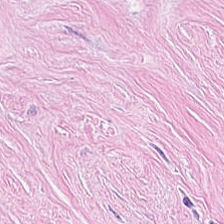H&E stain. {"tissue_type": "cancer-associated stroma"}
